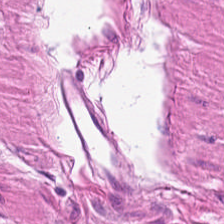Hematoxylin-and-eosin stained section · WSI patch · 224×224 pixel tile — Muscularis.
